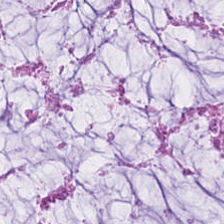Hematoxylin and eosin · 224×224 px tile · whole-slide-image patch — This patch shows mucus.
